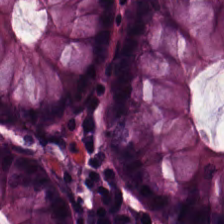Hematoxylin-and-eosin stained section. {"tissue_type": "non-neoplastic colon mucosa"}
